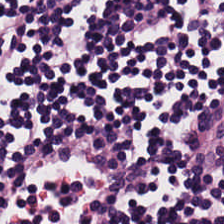H&E-stained tissue section — Showing lymphocytic infiltrate.
